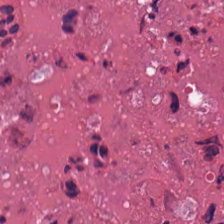0.5 µm/px · H&E. Q: What tissue is shown?
A: It is necrotic debris.
